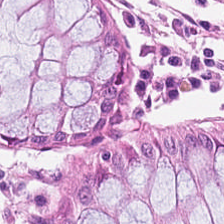Whole-slide-image patch; H&E stain; 224×224 px tile.
Classification = non-neoplastic colon mucosa.
